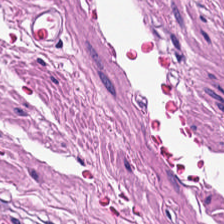Hematoxylin-and-eosin stained section.
Predominantly smooth muscle.
